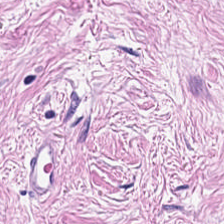The tissue is cancer-associated stroma.
